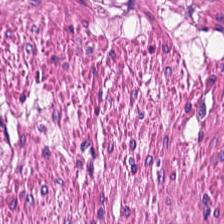224×224 pixel tile; H&E-stained tissue section.
This patch shows smooth-muscle tissue.
